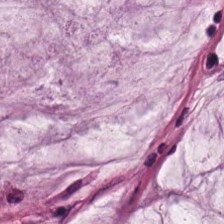Hematoxylin-and-eosin stained section. FFPE tissue section.
Impression → mucin.
